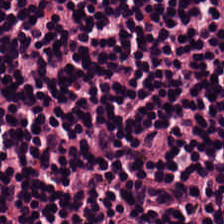FFPE; hematoxylin-and-eosin stained section; 224×224 px patch.
Lymphocytes.
